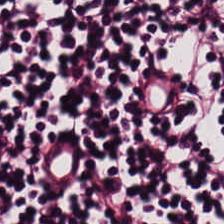H&E.
This patch shows lymphocyte aggregate.
